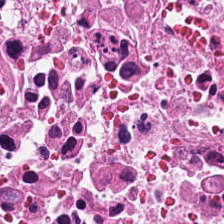Q: What does this patch show?
A: The field shows cellular debris.
